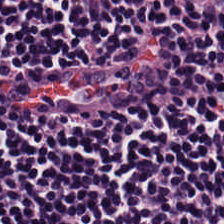H&E-stained tissue section. Formalin-fixed paraffin-embedded section — Lymphocyte aggregate.
